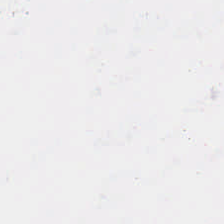Stain: hematoxylin-and-eosin stained section.
Classification: background (no tissue).
